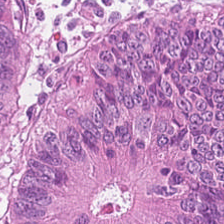H&E. Predominant tissue = tumor epithelium.
